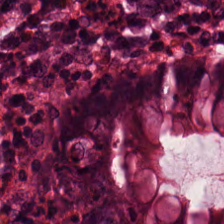H&E.
Showing benign colonic mucosa.
